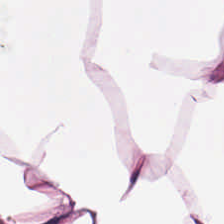Stain: H&E stain.
Tissue: adipose tissue.
